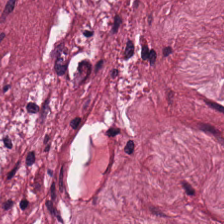224×224 pixel tile. Hematoxylin and eosin. Impression — cancer-associated stroma.
